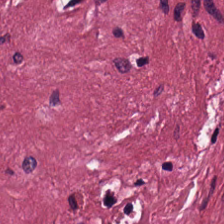Whole-slide-image patch. H&E stain. {"tissue_type": "cancer-associated stroma"}
